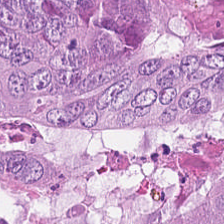Hematoxylin and eosin.
Q: What does this patch show?
A: Colorectal adenocarcinoma.
